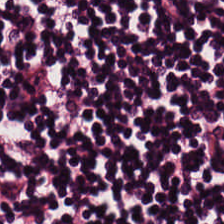Hematoxylin and eosin — Showing lymphocytes.
